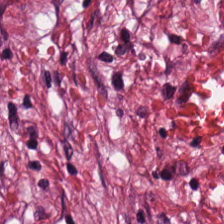H&E-stained tissue section.
The classification is desmoplastic stroma.
